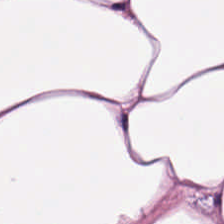FFPE tissue section. H&E-stained tissue section. Q: What type of tissue is this?
A: The field shows adipose tissue.
